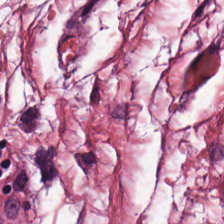H&E.
Impression — cancer-associated stroma.
